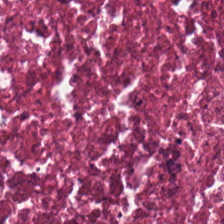Stain: H&E.
Tissue: cellular debris.
